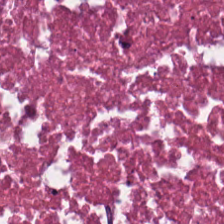The tissue here is necrotic debris.
